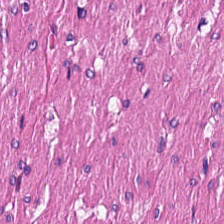Showing smooth-muscle tissue.
